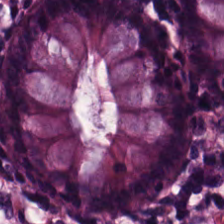Showing benign colonic mucosa.
